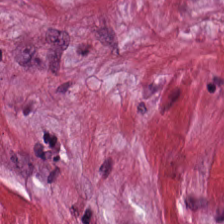Hematoxylin and eosin. WSI patch. This patch shows desmoplastic stroma.
